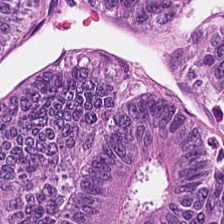{"tissue_type": "colorectal adenocarcinoma epithelium"}
